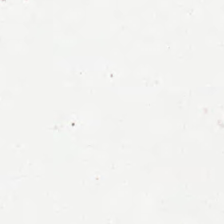Stain: H&E stain.
Classification: background (no tissue).
